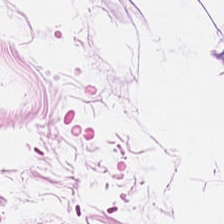0.5 µm per pixel; H&E.
Tissue type — adipose tissue.
